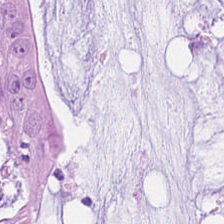FFPE. H&E-stained tissue section. Showing mucin.
